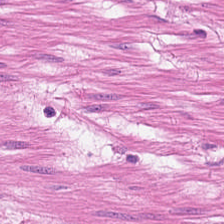Hematoxylin-and-eosin section: smooth-muscle tissue.
